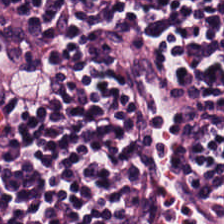H&E-stained tissue section.
Finding — lymphocyte aggregate.
